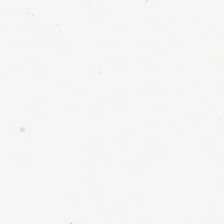Hematoxylin and eosin; 20× equivalent magnification; 224×224 px tile — No tissue.
